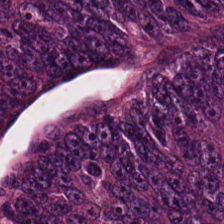Hematoxylin and eosin. FFPE. 224×224 pixel tile.
Q: Identify the tissue.
A: Colorectal adenocarcinoma.
